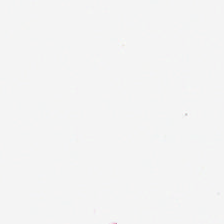H&E-stained tissue section — This field is background (no tissue).
